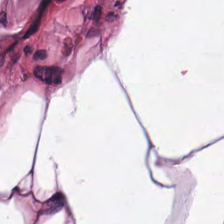0.5 µm per pixel · 224×224 px tile · hematoxylin-and-eosin stained section — Classification = fat tissue.
